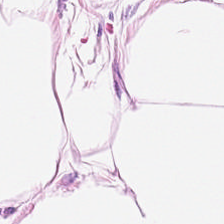Brightfield; H&E-stained tissue section — Tissue class: adipocytes.
